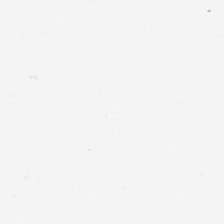Hematoxylin and eosin. 224×224 px tile.
Classification — background (no tissue).
